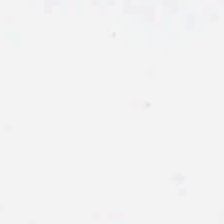FFPE · 224×224 px patch · hematoxylin-and-eosin stained section.
Field content — empty background.
